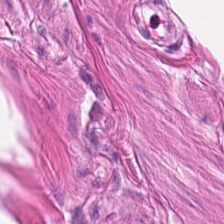H&E stain.
Impression — muscularis.
